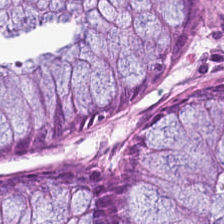Histology → benign colonic mucosa.
